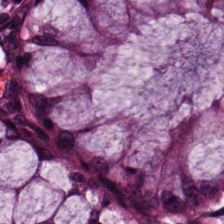Hematoxylin and eosin. Predominantly non-neoplastic colon mucosa.
